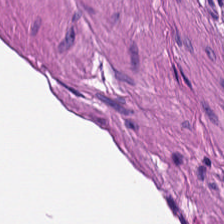Hematoxylin-and-eosin stained section · 224×224 px patch. Muscularis.
